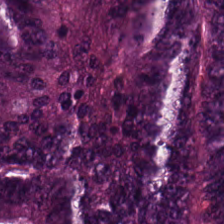H&E. Q: What tissue type is shown here?
A: It is tumor epithelium.
